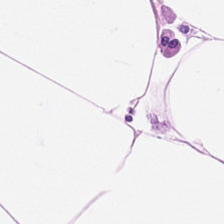Hematoxylin and eosin. The predominant tissue is adipocytes.
